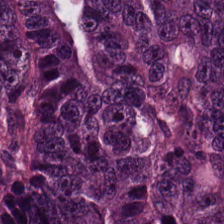224×224 px tile · hematoxylin and eosin · brightfield microscopy. Predominantly colorectal adenocarcinoma.
